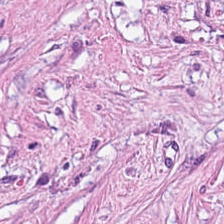Tissue class — desmoplastic stroma.
